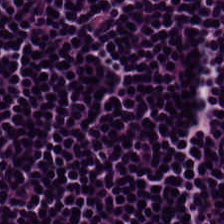Stain: H&E stain.
Tissue class: lymphocytic infiltrate.
